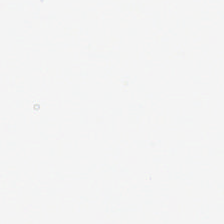224×224 pixel tile · H&E. Impression → empty background.
